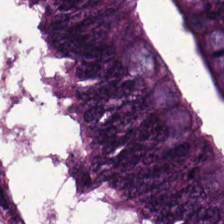H&E-stained tissue section.
{"tissue_type": "colorectal adenocarcinoma"}
